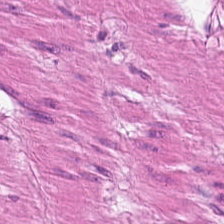224×224 pixel tile · 0.5 µm per pixel · hematoxylin and eosin. Tissue: muscularis.
